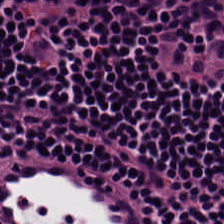H&E stain. Q: What is shown in this field?
A: The field shows lymphoid infiltrate.
